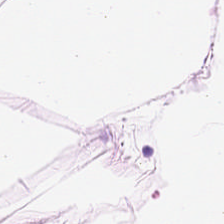H&E-stained tissue section. 224×224 pixel tile. Brightfield microscopy.
{"tissue_type": "adipose tissue"}
